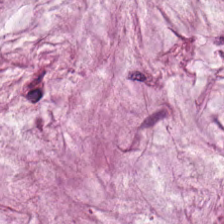This field is mucus.
